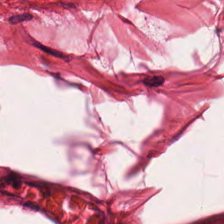H&E stain.
The tissue here is muscularis.
